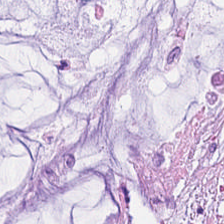Q: What is shown in this field?
A: The field shows mucus.
